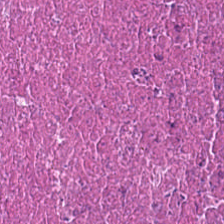H&E. Impression — cellular debris.
